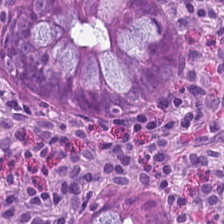FFPE. H&E.
Predominantly non-neoplastic colon mucosa.
